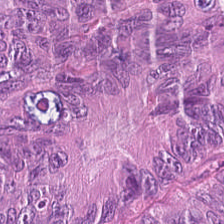Stain: H&E-stained tissue section.
Predominant tissue: tumor epithelium.
